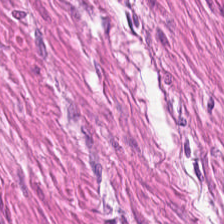Showing smooth-muscle tissue.
